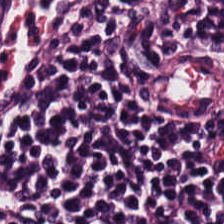H&E-stained tissue section. Q: What tissue type is shown here?
A: This is lymphoid infiltrate.
